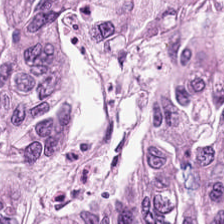Histology → malignant epithelium.
